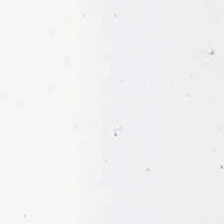H&E — Classification = background.
